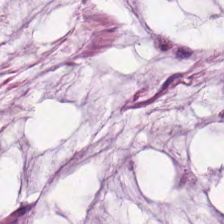Stain: hematoxylin-and-eosin stained section.
Tissue class: mucin.
